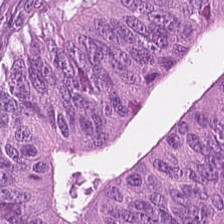H&E-stained tissue section — This patch shows malignant epithelium.
